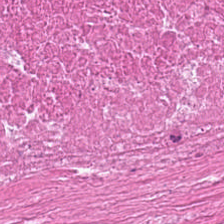Hematoxylin and eosin. {"tissue_type": "necrotic debris"}
